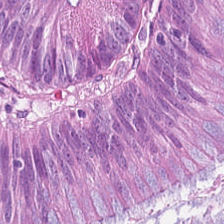20× equivalent magnification; hematoxylin and eosin. Showing colorectal adenocarcinoma.
